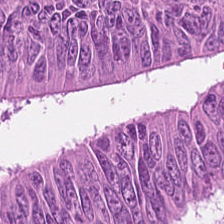0.5 µm/px · hematoxylin and eosin.
This field is adenocarcinoma.
